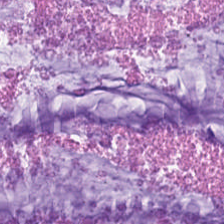Formalin-fixed paraffin-embedded section. H&E-stained tissue section.
{"tissue_type": "mucus"}
